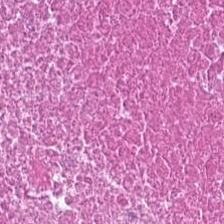Hematoxylin-and-eosin stained section — This field is cellular debris.
